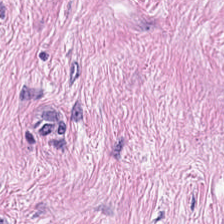WSI patch. Hematoxylin-and-eosin stained section. Finding → cancer-associated stroma.
